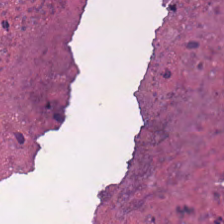0.5 microns per pixel; H&E stain — Q: What tissue type is shown here?
A: The field shows debris.
